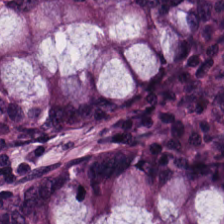H&E-stained tissue section showing normal colon mucosa.
